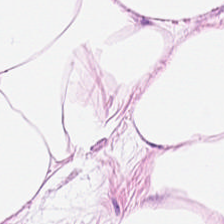H&E. {"tissue_type": "adipose"}
